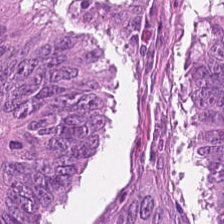Hematoxylin and eosin. WSI patch — Predominantly malignant epithelium.
